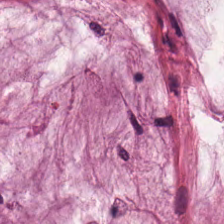Brightfield. H&E-stained tissue section. Formalin-fixed paraffin-embedded section.
Impression → extracellular mucin.
